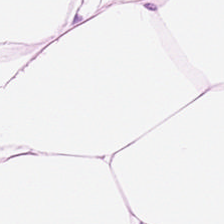Impression → adipose tissue.
